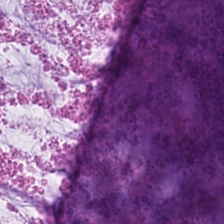Q: What is the predominant tissue type?
A: This is mucus.
